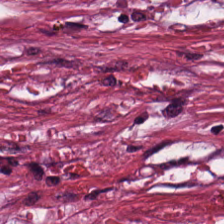Q: What is shown in this field?
A: The field shows cancer-associated stroma.
